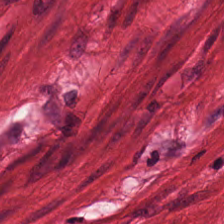Hematoxylin-and-eosin stained section. Muscularis.
